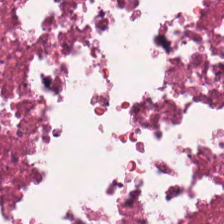Hematoxylin and eosin; 20× equivalent magnification.
Predominantly necrotic debris.
